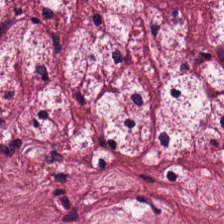Tissue type = desmoplastic stroma.
